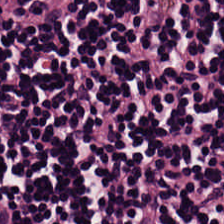Hematoxylin-and-eosin stained section. WSI patch.
Predominantly lymphoid infiltrate.
